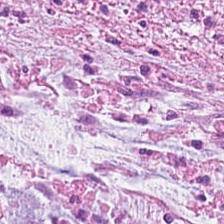224×224 px tile; formalin-fixed paraffin-embedded section; H&E — This field is cancer-associated stroma.
